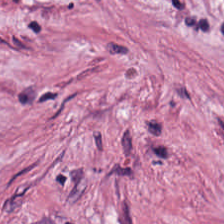Tissue class — cancer-associated stroma.
